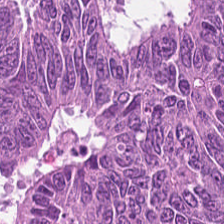The classification is colorectal adenocarcinoma.
